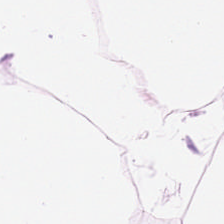Hematoxylin-and-eosin stained section — This patch shows adipose tissue.
